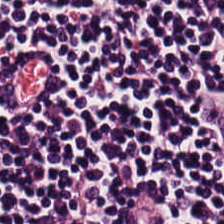{"tissue_type": "lymphocytes"}
